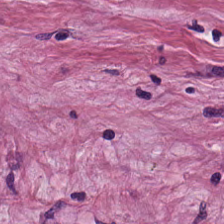Hematoxylin and eosin.
Q: What does this patch show?
A: The field shows desmoplastic stroma.
